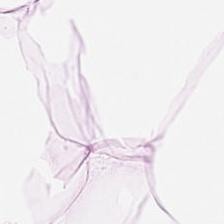WSI patch · hematoxylin-and-eosin stained section.
Q: What does this patch show?
A: The field shows adipose tissue.
